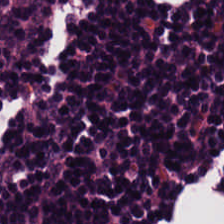Brightfield microscopy. Hematoxylin and eosin.
The predominant tissue is lymphocytes.
